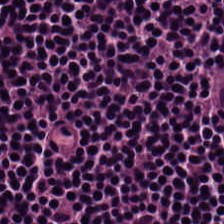Q: What does this patch show?
A: This is lymphocyte aggregate.
